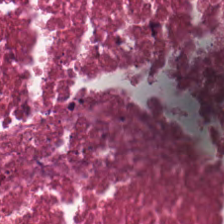H&E stain. Q: What tissue type is shown here?
A: The field shows cellular debris.
